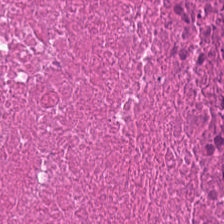Predominantly cellular debris.
